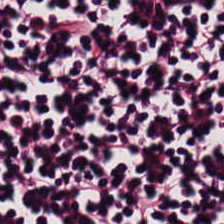224×224 px tile; H&E stain — Q: What is shown in this field?
A: The field shows lymphocytes.
